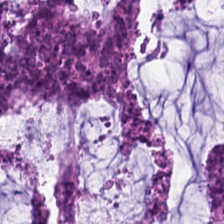Hematoxylin-and-eosin stained section. Tissue class = mucus.
